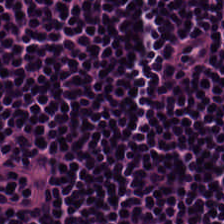Brightfield microscopy; FFPE tissue section; H&E. Histology → lymphocyte aggregate.
